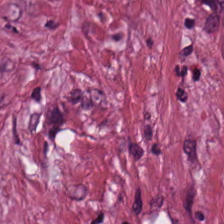Hematoxylin and eosin. Impression → tumor stroma.
